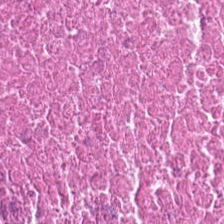H&E-stained tissue section. 0.5 µm per pixel.
Q: What tissue type is shown here?
A: It is necrotic debris.
